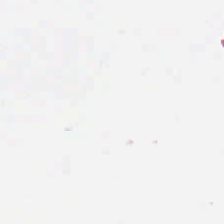Hematoxylin and eosin.
Histology — no tissue.
